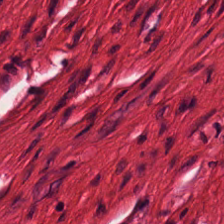Hematoxylin and eosin — Q: What is the predominant tissue type?
A: The field shows smooth-muscle tissue.
